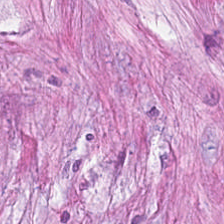Hematoxylin-and-eosin stained section. The predominant tissue is cancer-associated stroma.
